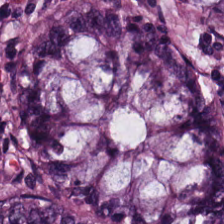The tissue is normal colonic mucosa.
